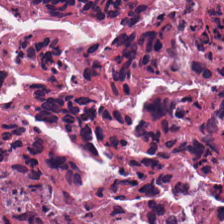Stain: H&E stain.
Resolution: 0.5 microns per pixel.
Tissue type: debris.
